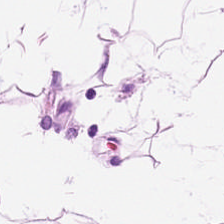0.5 microns per pixel · hematoxylin-and-eosin stained section.
This patch shows adipose tissue.
